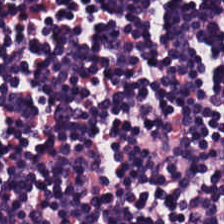Hematoxylin-and-eosin stained section.
Finding → lymphocytes.
